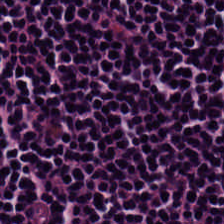H&E stain.
Impression — lymphocytic infiltrate.
